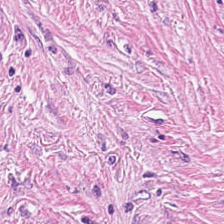Formalin-fixed paraffin-embedded section · H&E.
Q: What tissue is shown?
A: Desmoplastic stroma.
